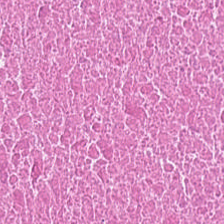The predominant tissue is debris.
